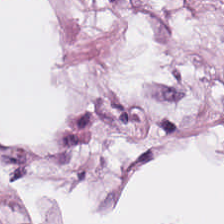Stain: hematoxylin and eosin.
Tissue: fat tissue.
